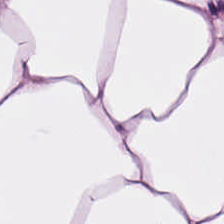H&E; FFPE tissue section.
{"tissue_type": "adipocytes"}
